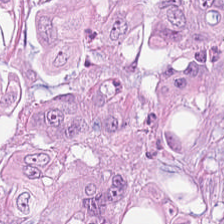H&E — Impression — colorectal adenocarcinoma.
